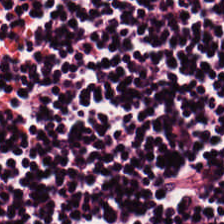Hematoxylin-and-eosin stained section. The predominant tissue is lymphocytes.
